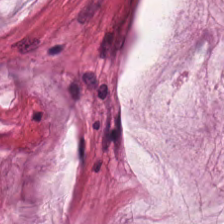Brightfield microscopy. Hematoxylin-and-eosin stained section — {"tissue_type": "mucus"}
